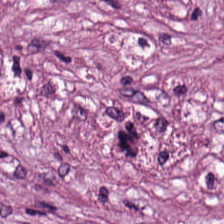H&E stain; 224×224 px patch — The tissue here is desmoplastic stroma.
